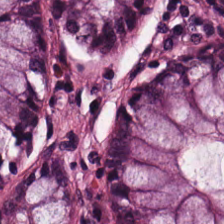Stain: hematoxylin and eosin.
Tile size: 224×224 px tile.
Preparation: FFPE tissue section.
Predominant tissue: normal colon mucosa.
